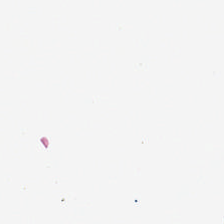224×224 px patch · H&E. Q: What does this patch show?
A: Background.
